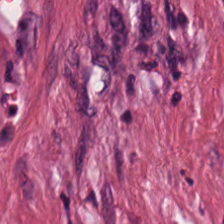Hematoxylin-and-eosin stained section.
Tissue: desmoplastic stroma.
